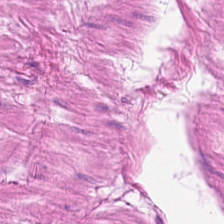Predominant tissue = muscularis.
